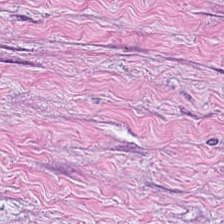Stain: hematoxylin-and-eosin stained section.
Acquisition: whole-slide-image patch.
Classification: tumor-associated stroma.
